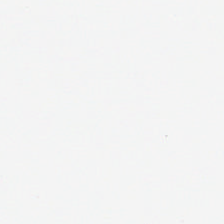H&E · 224×224 px patch.
Content — no tissue.
